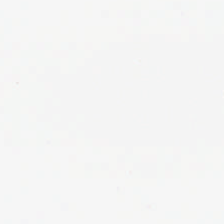H&E.
Impression — background (no tissue).
